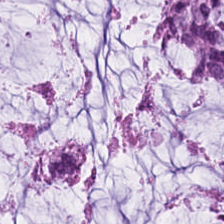Hematoxylin and eosin — The tissue here is mucin.
